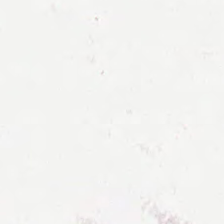0.5 microns per pixel. H&E-stained tissue section — Empty field — background (no tissue).
